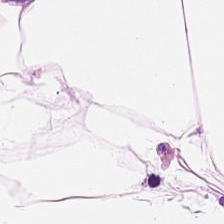H&E stain.
Adipose tissue.
